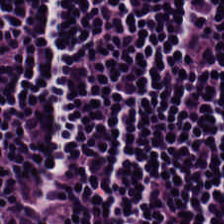Stain: H&E-stained tissue section.
Acquisition: WSI patch.
Predominant tissue: lymphoid infiltrate.
